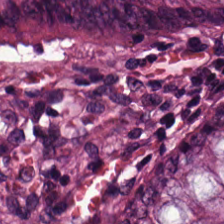0.5 µm per pixel; hematoxylin and eosin; FFPE.
The predominant tissue is normal colonic mucosa.
